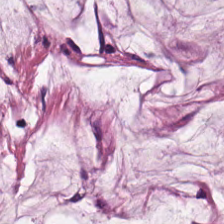Q: What does this patch show?
A: Extracellular mucin.
